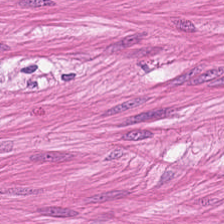Stain: H&E stain.
Tissue type: smooth-muscle tissue.
